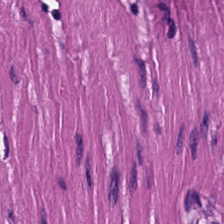H&E stain.
The classification is smooth muscle.
